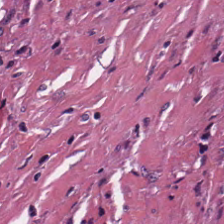Stain: H&E-stained tissue section.
Preparation: formalin-fixed paraffin-embedded section.
Tissue type: cellular debris.
